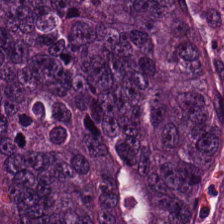Classification — colorectal adenocarcinoma epithelium.
